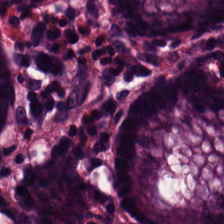Brightfield microscopy. Hematoxylin and eosin — Q: What tissue type is shown here?
A: The field shows normal colonic mucosa.
